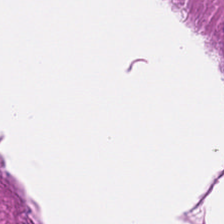Stain: hematoxylin-and-eosin stained section.
Tissue type: smooth-muscle tissue.
